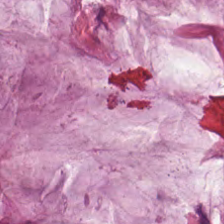Tissue type: extracellular mucin.
